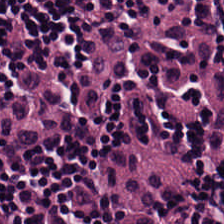224×224 px patch · H&E-stained tissue section — Tissue: lymphoid infiltrate.
